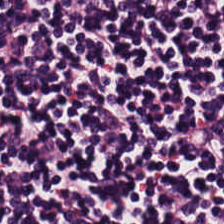Stain: H&E.
Predominant tissue: lymphocytic infiltrate.
